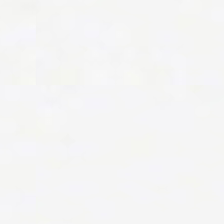Hematoxylin and eosin; FFPE.
This patch shows empty background.
